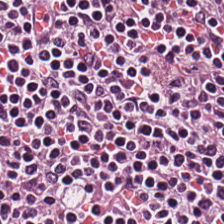20× equivalent magnification · whole-slide-image patch · H&E — The tissue here is lymphocytic infiltrate.
